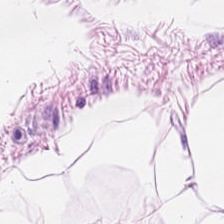Stain: H&E stain.
Tissue: adipose tissue.
